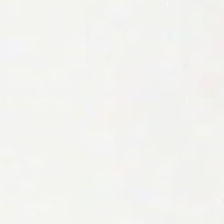H&E stain — {"content": "empty background"}
